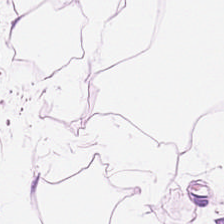Hematoxylin-and-eosin stained section. FFPE. WSI patch — Impression — fat tissue.
